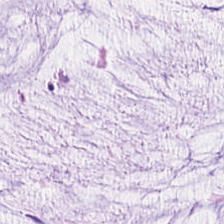224×224 px tile · hematoxylin-and-eosin stained section.
Finding → mucin.
